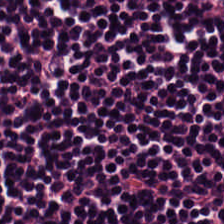Hematoxylin-and-eosin stained section. Q: Identify the tissue.
A: This is lymphocytes.
